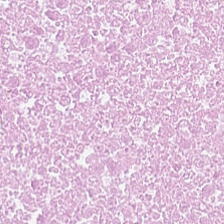H&E-stained tissue section. 224×224 pixel tile.
Impression → debris.
